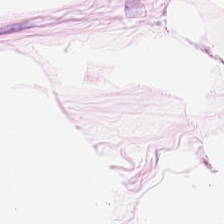H&E. This patch shows adipose tissue.
